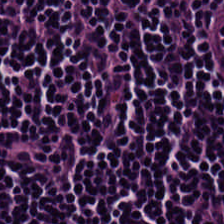Q: Identify the tissue.
A: It is lymphocytic infiltrate.
